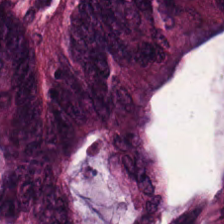Stain: H&E-stained tissue section.
Tissue class: colorectal adenocarcinoma.
